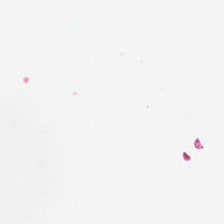Hematoxylin and eosin. This patch shows background (no tissue).
